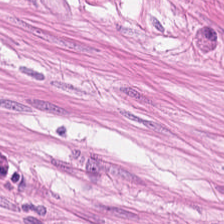Predominantly smooth-muscle tissue.
